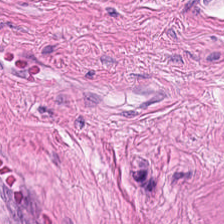H&E; 0.5 µm per pixel; brightfield.
Impression — smooth muscle.
